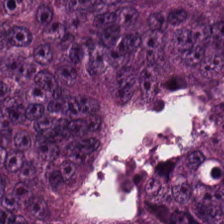H&E-stained tissue section.
Tissue class: colorectal adenocarcinoma.
